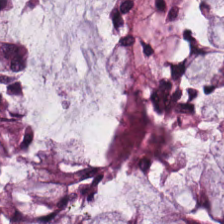FFPE · H&E — Predominantly normal colonic mucosa.
